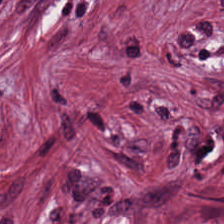Showing tumor stroma.
